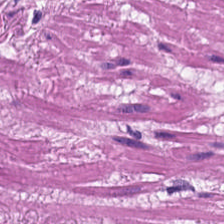H&E. Q: What tissue type is shown here?
A: The field shows smooth-muscle tissue.
